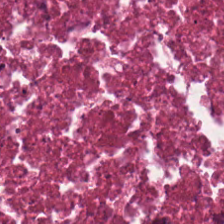H&E stain. WSI patch. Impression — debris.
